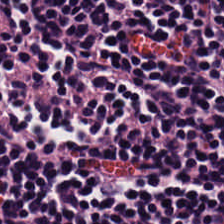Hematoxylin-and-eosin section: lymphocytes.
